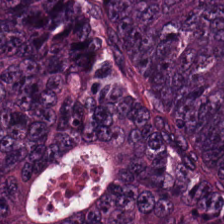H&E — Histology → colorectal adenocarcinoma.
